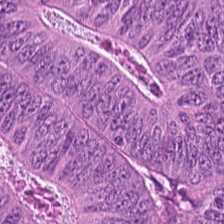Hematoxylin-and-eosin stained section.
Q: What is shown here?
A: The field shows colorectal adenocarcinoma.
